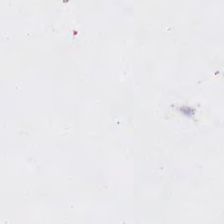H&E-stained tissue section · formalin-fixed paraffin-embedded section.
No tissue present; background only.
